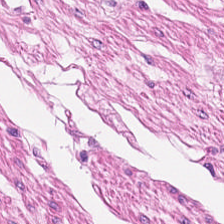H&E stain.
This patch shows muscularis.
